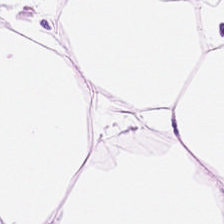H&E-stained tissue section; FFPE. Predominantly adipocytes.
